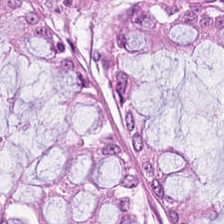FFPE; whole-slide-image patch; H&E-stained tissue section.
The classification is non-neoplastic colon mucosa.
